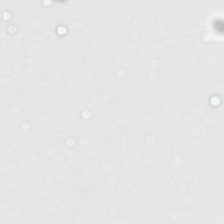Hematoxylin-and-eosin stained section; 0.5 µm per pixel. {"content": "background"}
